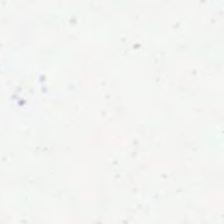Hematoxylin-and-eosin stained section. This field is background (no tissue).
